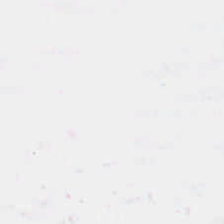{"content": "background"}
